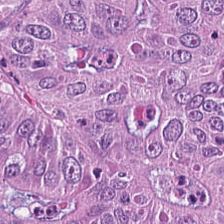Hematoxylin-and-eosin stained section.
The tissue here is colorectal adenocarcinoma epithelium.
